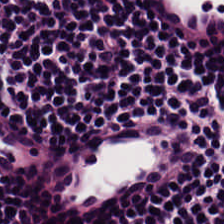This patch shows lymphocyte aggregate.
